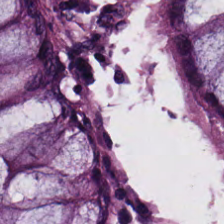224×224 pixel tile · 0.5 microns per pixel · hematoxylin and eosin. Classification — non-neoplastic colon mucosa.
